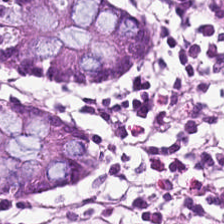224×224 px tile. H&E-stained tissue section.
Tissue: normal colonic mucosa.
